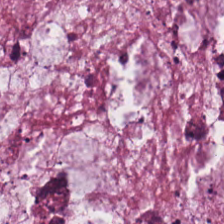224×224 pixel tile. Formalin-fixed paraffin-embedded section. Hematoxylin-and-eosin stained section — Predominant tissue: extracellular mucin.
